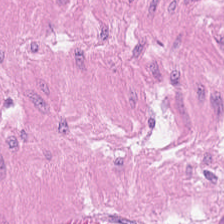This patch shows smooth muscle.
